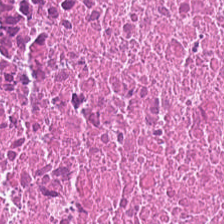H&E-stained tissue section · 0.5 µm per pixel. The tissue here is cellular debris.
